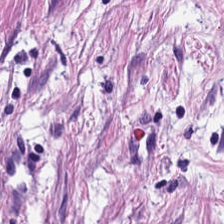Impression — desmoplastic stroma.
